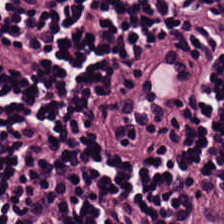Tissue type — lymphocytes.
